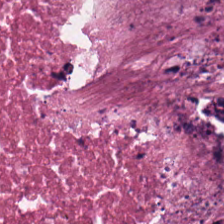Hematoxylin-and-eosin stained section.
Histology → necrotic debris.
